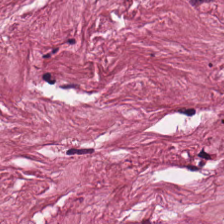H&E — tumor stroma.
